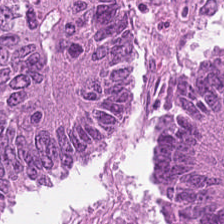Hematoxylin-and-eosin stained section. Q: Identify the tissue.
A: Malignant epithelium.
